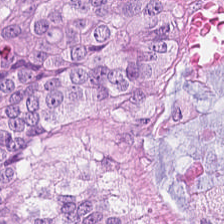Stain: H&E-stained tissue section.
Tissue: colorectal adenocarcinoma epithelium.
